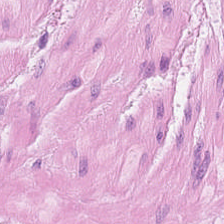H&E-stained tissue section — Impression → muscularis.
